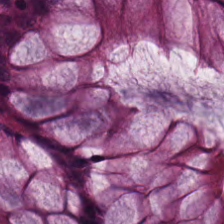Stain: hematoxylin-and-eosin stained section.
Classification: non-neoplastic colon mucosa.
